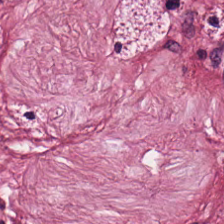Brightfield. H&E-stained tissue section. 0.5 µm/px. Cancer-associated stroma.
